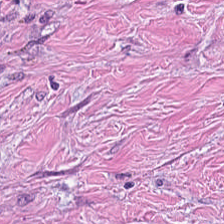Tissue type: cancer-associated stroma.
